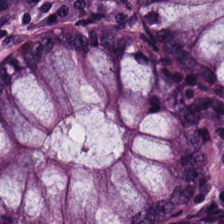Q: What is shown in this field?
A: This is non-neoplastic colon mucosa.
